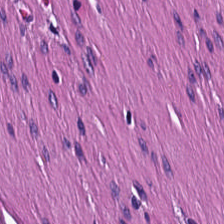This field is smooth muscle.
